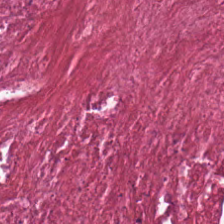224×224 px patch · hematoxylin and eosin · 0.5 µm/px. This patch shows debris.
